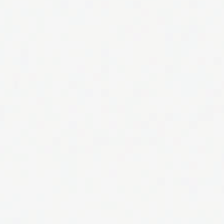20× equivalent magnification. H&E. WSI patch. Q: What does this patch show?
A: The field shows no tissue.
